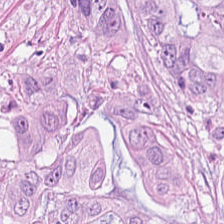Hematoxylin and eosin.
This field is adenocarcinoma.
